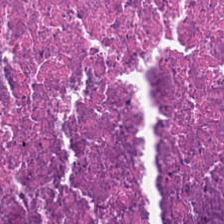H&E-stained tissue section — Tissue class = cellular debris.
